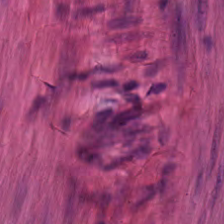H&E patch showing smooth-muscle tissue.
